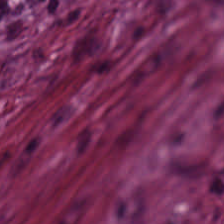H&E stain — Tissue type = tumor stroma.
